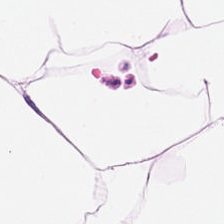This patch shows adipose tissue.
